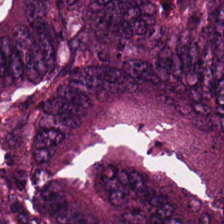Hematoxylin-and-eosin stained section — Tissue — colorectal adenocarcinoma.
